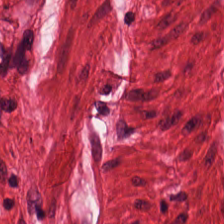H&E.
Impression → smooth-muscle tissue.
